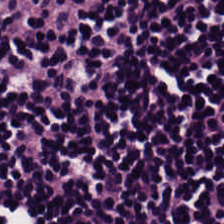FFPE tissue section; H&E stain — Histology — lymphocyte aggregate.
